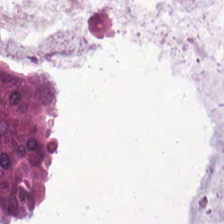0.5 µm/px · H&E stain · brightfield — Q: What is shown in this field?
A: This is mucin.
